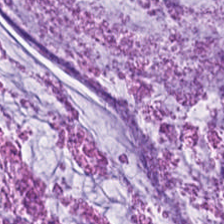20× equivalent magnification; H&E stain.
Finding → extracellular mucin.
